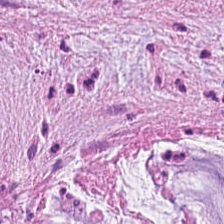WSI patch; H&E-stained tissue section. The predominant tissue is extracellular mucin.
